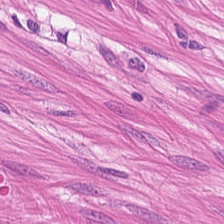H&E stain. Brightfield microscopy. 224×224 px patch — Impression → muscularis.
